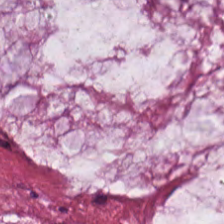H&E — Impression — extracellular mucin.
